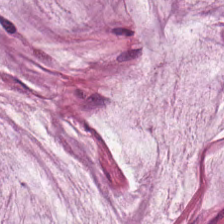H&E patch showing mucin.
